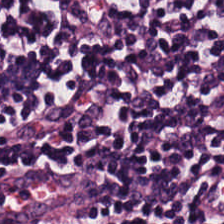H&E-stained tissue section — Lymphocytes.
